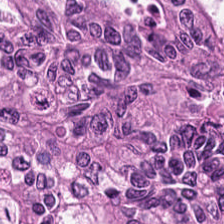H&E stain.
Predominantly malignant epithelium.
